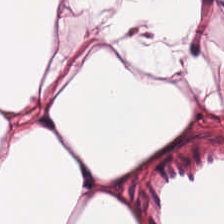Hematoxylin and eosin. This patch shows fat tissue.
